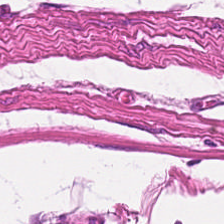Brightfield. Hematoxylin and eosin.
The tissue here is muscularis.
